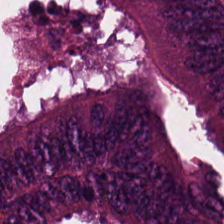Predominant tissue = malignant epithelium.
